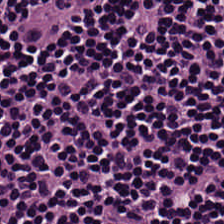Q: What tissue is shown?
A: This is lymphocytes.
